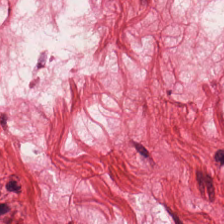Tissue — smooth-muscle tissue.
